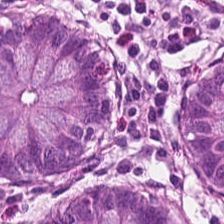H&E-stained tissue section — Classification = normal colon mucosa.
